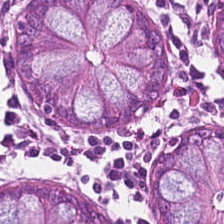Benign colonic mucosa.
